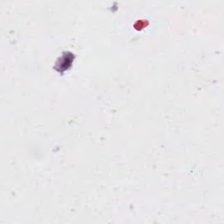Brightfield. H&E-stained tissue section. FFPE tissue section — Impression — empty background.
